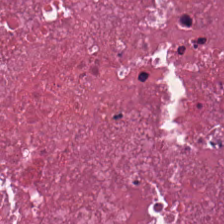Stain: H&E.
Classification: necrotic debris.
